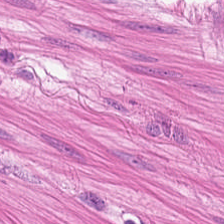Tissue class: muscularis.
